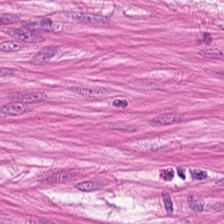H&E-stained tissue section — Tissue — muscularis.
